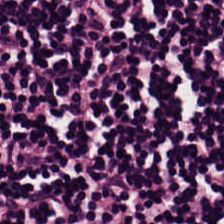Stain: H&E stain.
Tile size: 224×224 pixel tile.
Tissue type: lymphocytes.
